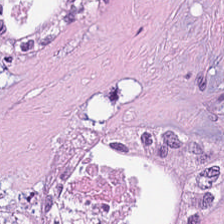224×224 px tile. Formalin-fixed paraffin-embedded section. Hematoxylin-and-eosin stained section. Q: What is shown in this field?
A: This is debris.
